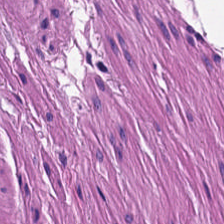Formalin-fixed paraffin-embedded section. Hematoxylin and eosin. 0.5 µm/px — Smooth muscle.
